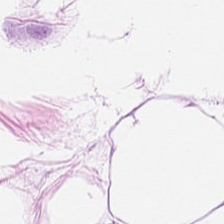Hematoxylin-and-eosin stained section. Finding → adipose.
